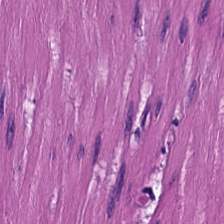Hematoxylin and eosin. Whole-slide-image patch. 224×224 pixel tile. This field is smooth muscle.
